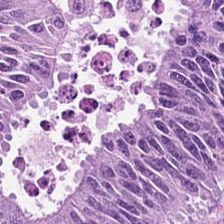Histology — malignant epithelium.
